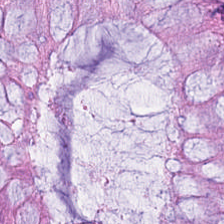This patch shows benign colonic mucosa.
